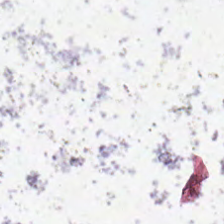Hematoxylin-and-eosin stained section — Background.
